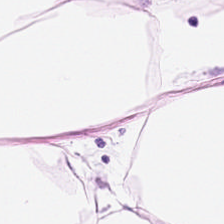Stain: hematoxylin-and-eosin stained section.
Tissue type: adipose.
